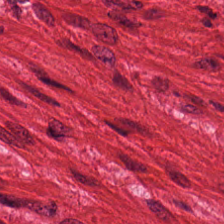Formalin-fixed paraffin-embedded section; 0.5 µm per pixel; hematoxylin and eosin — This field is smooth muscle.
